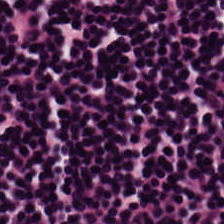20× equivalent magnification. Brightfield. H&E. Histology → lymphocyte aggregate.
